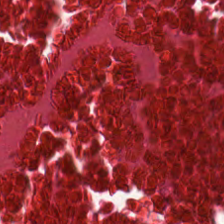{"tissue_type": "necrotic debris"}
